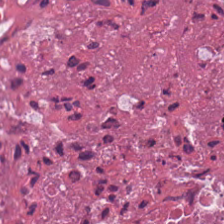This field is cellular debris.
